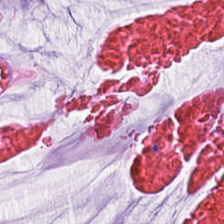H&E. 0.5 µm/px. Showing extracellular mucin.
